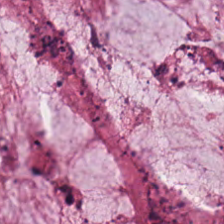H&E.
Predominantly mucin.
